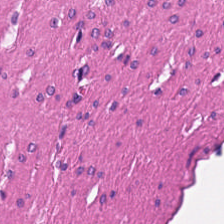{"tissue_type": "muscularis"}
